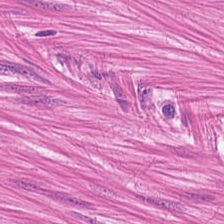Q: What is shown in this field?
A: This is muscularis.
